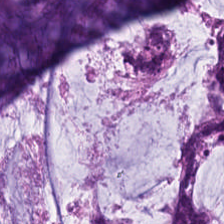Q: What tissue type is shown here?
A: This is extracellular mucin.
